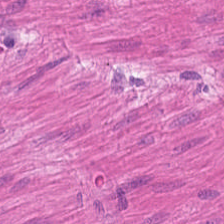Stain: hematoxylin-and-eosin stained section.
Predominant tissue: smooth muscle.
